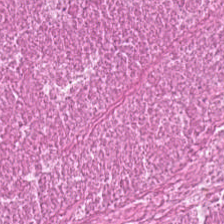Hematoxylin and eosin. Predominant tissue = necrotic debris.
